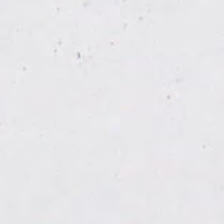H&E-stained tissue section — This field is background (no tissue).
